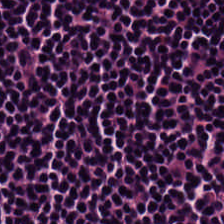0.5 µm/px · H&E · FFPE tissue section — Tissue class: lymphocyte aggregate.
